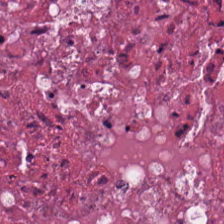20× equivalent magnification · H&E · brightfield. Q: What is the predominant tissue type?
A: It is debris.
